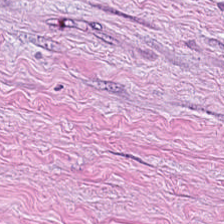Hematoxylin and eosin — The tissue here is tumor stroma.
